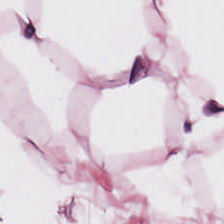H&E-stained tissue section · formalin-fixed paraffin-embedded section — The predominant tissue is adipose tissue.
